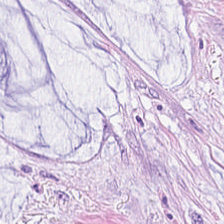Hematoxylin and eosin.
The predominant tissue is extracellular mucin.
